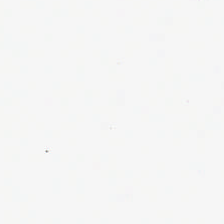H&E stain.
Finding → empty background.
